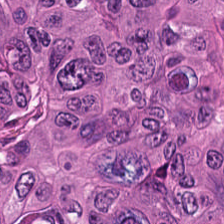H&E. 0.5 µm/px.
Histology → tumor epithelium.
